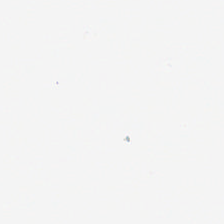0.5 microns per pixel; H&E-stained tissue section — The field content is background.
